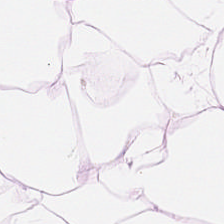Classification: fat tissue.
